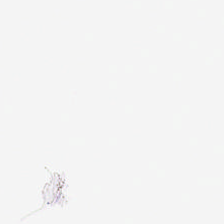224×224 px patch. FFPE. H&E-stained tissue section.
{"content": "no tissue"}
